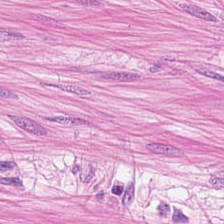H&E-stained section; the field shows smooth muscle.
